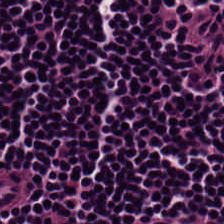Showing lymphoid infiltrate.
